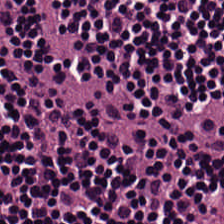H&E stain.
Predominant tissue = lymphocyte aggregate.
